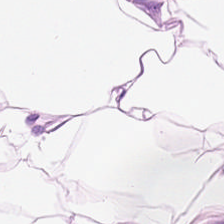H&E-stained tissue section. 224×224 px patch — Histology — fat tissue.
